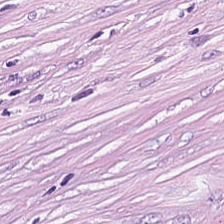224×224 pixel tile. H&E stain. Tumor-associated stroma.
